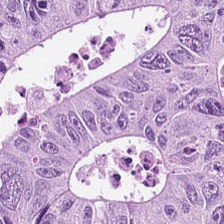H&E; 224×224 px patch.
Finding — colorectal adenocarcinoma.
